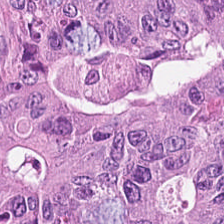Hematoxylin-and-eosin stained section — {"tissue_type": "tumor epithelium"}
